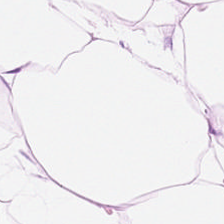H&E-stained tissue section. Predominantly adipose.
